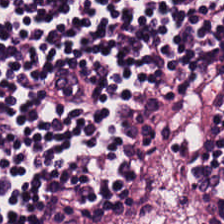{"tissue_type": "lymphocytic infiltrate"}
